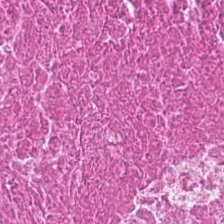FFPE tissue section; hematoxylin-and-eosin stained section.
{"tissue_type": "cellular debris"}
